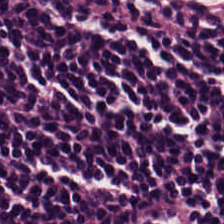Hematoxylin-and-eosin stained section. FFPE.
The predominant tissue is lymphocyte aggregate.
